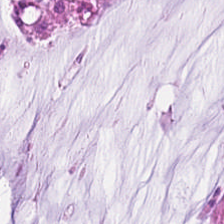Hematoxylin and eosin.
Predominantly mucus.
